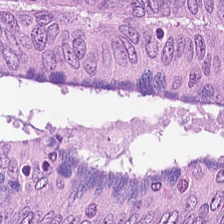This patch shows colorectal adenocarcinoma.
